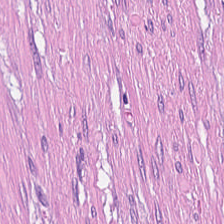Stain: hematoxylin and eosin.
Resolution: 0.5 µm/px.
Predominant tissue: cancer-associated stroma.
